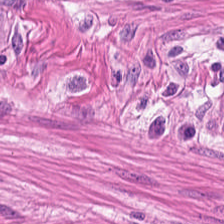Tissue = smooth-muscle tissue.
